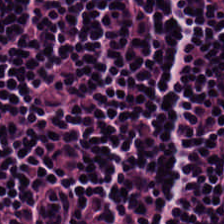Stain: H&E.
Tile size: 224×224 pixel tile.
Predominant tissue: lymphocytic infiltrate.
